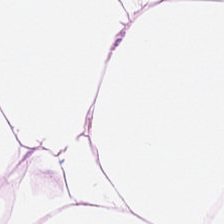Hematoxylin-and-eosin stained section. Q: What is shown here?
A: This is adipose tissue.
